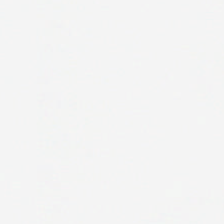Stain: hematoxylin and eosin.
Preparation: formalin-fixed paraffin-embedded section.
Field content: empty background.
